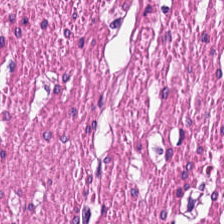0.5 µm per pixel; H&E. This patch shows smooth-muscle tissue.
